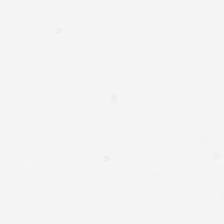Hematoxylin and eosin.
Field content — no tissue.
